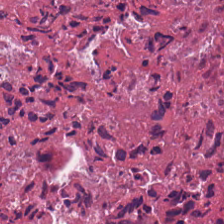H&E — debris.
